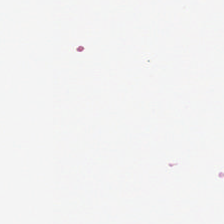Stain: hematoxylin-and-eosin stained section.
Classification: background.
